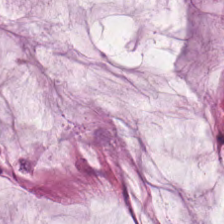224×224 px patch · H&E.
Q: What tissue is shown?
A: Mucus.
